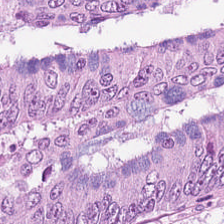Formalin-fixed paraffin-embedded section. Hematoxylin and eosin. Q: Identify the tissue.
A: Colorectal adenocarcinoma.
